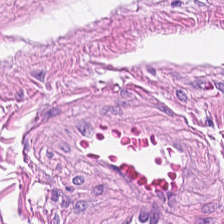{"tissue_type": "smooth muscle"}
